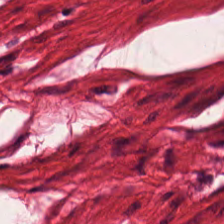Hematoxylin-and-eosin stained section.
Predominantly smooth-muscle tissue.
